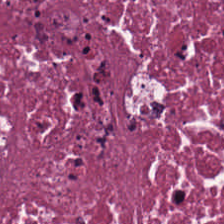224×224 px tile · whole-slide-image patch · hematoxylin and eosin. {"tissue_type": "necrotic debris"}
